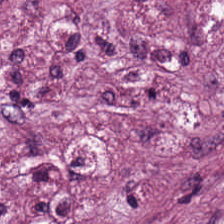Predominant tissue: tumor-associated stroma.
